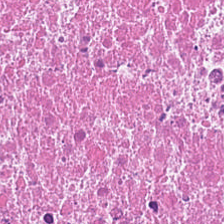Hematoxylin and eosin. FFPE. The tissue here is necrotic debris.
